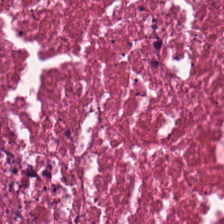Stain: hematoxylin and eosin.
Preparation: FFPE.
Tissue class: debris.
